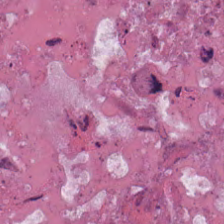Hematoxylin-and-eosin stained section; 224×224 pixel tile — Showing necrotic debris.
